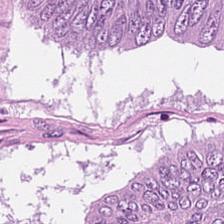Formalin-fixed paraffin-embedded section. 224×224 px patch. H&E-stained tissue section. Tissue class: colorectal adenocarcinoma epithelium.
